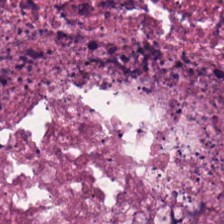{"tissue_type": "cellular debris"}
